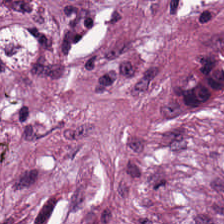H&E stain.
This field is tumor stroma.
